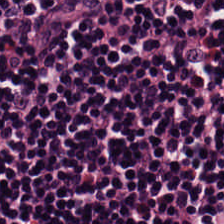Hematoxylin and eosin.
Lymphocytic infiltrate.
